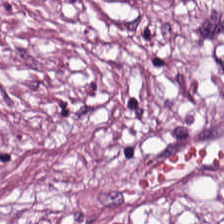H&E-stained tissue section showing tumor stroma.
